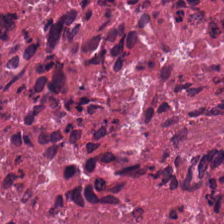H&E — necrotic debris.
